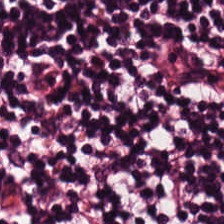H&E stain.
Showing lymphocytic infiltrate.
